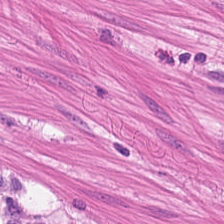Stain: hematoxylin and eosin.
Resolution: 0.5 µm/px.
Tissue: smooth-muscle tissue.
